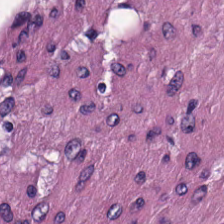H&E-stained tissue section.
Smooth-muscle tissue.
